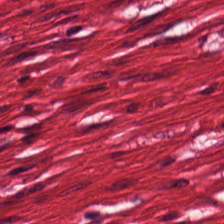Stain: H&E.
Predominant tissue: muscularis.
